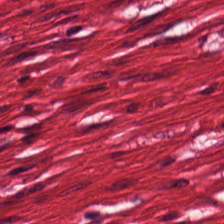Stain: H&E.
Predominant tissue: muscularis.
